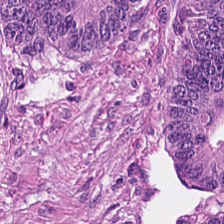H&E-stained tissue section — The tissue here is colorectal adenocarcinoma epithelium.
